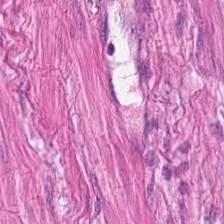H&E-stained tissue section. Showing muscularis.
